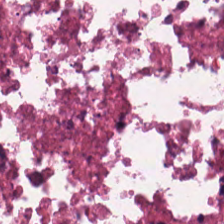{"tissue_type": "debris"}
